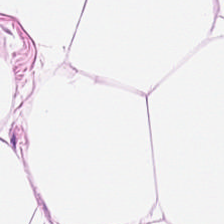Tissue = adipose tissue.
